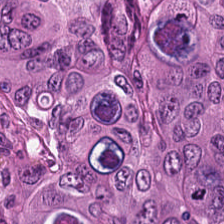FFPE; hematoxylin-and-eosin stained section; brightfield microscopy.
Predominant tissue: tumor epithelium.
